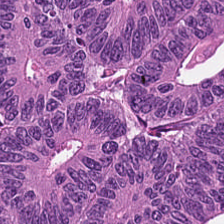Brightfield microscopy. H&E stain. 0.5 µm/px.
Finding → colorectal adenocarcinoma epithelium.
